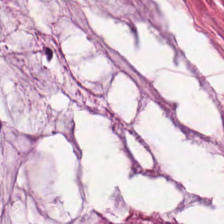Stain: hematoxylin-and-eosin stained section.
Acquisition: whole-slide-image patch.
Tissue type: mucin.
